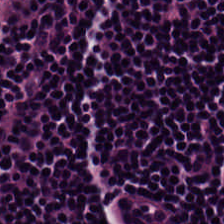Hematoxylin-and-eosin stained section. Tissue class = lymphocyte aggregate.
